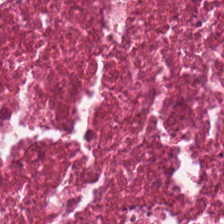Hematoxylin and eosin. Necrotic debris.
